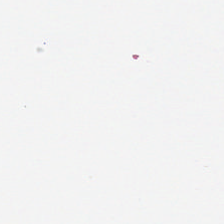224×224 px patch · hematoxylin-and-eosin stained section — Background (no tissue).
